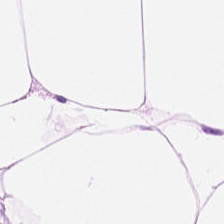Tissue = adipose tissue.
